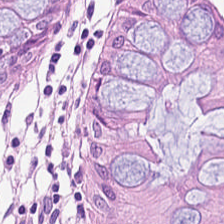Hematoxylin and eosin — Q: What is shown in this field?
A: Non-neoplastic colon mucosa.
